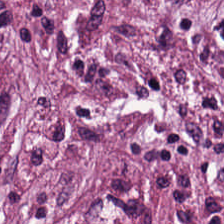Hematoxylin-and-eosin stained section. FFPE tissue section — Showing tumor-associated stroma.
